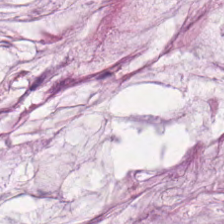Hematoxylin-and-eosin stained section; brightfield; 224×224 px patch. Predominantly extracellular mucin.
